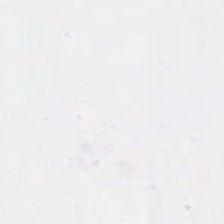Hematoxylin and eosin.
Empty field — background.
